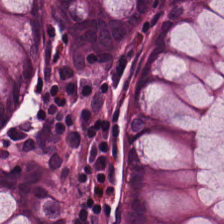Stain: H&E-stained tissue section.
Tissue: normal colonic mucosa.
